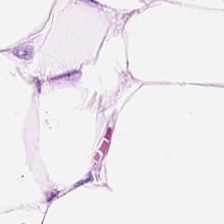0.5 microns per pixel; H&E stain. Finding → adipocytes.
